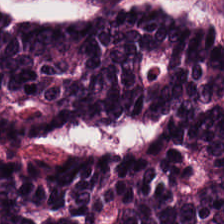Hematoxylin and eosin · 20× equivalent magnification. Tissue = colorectal adenocarcinoma epithelium.
